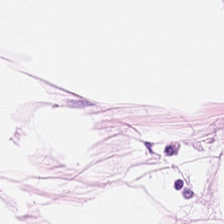H&E-stained tissue section — This patch shows fat tissue.
